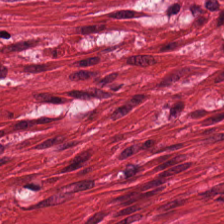Hematoxylin and eosin.
This field is smooth-muscle tissue.
